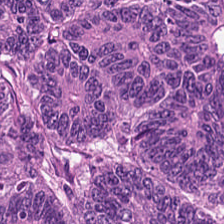Hematoxylin-and-eosin stained section.
Q: What type of tissue is this?
A: Colorectal adenocarcinoma epithelium.
